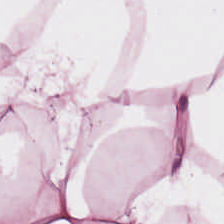H&E stain.
Q: What is shown in this field?
A: The field shows adipose.
